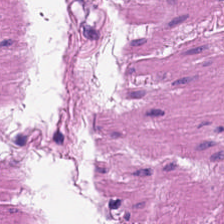Stain: hematoxylin and eosin.
Tissue type: smooth-muscle tissue.
